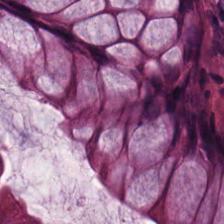Hematoxylin and eosin.
Predominant tissue: non-neoplastic colon mucosa.
